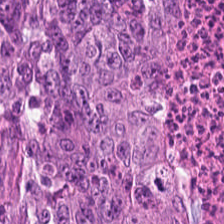Hematoxylin-and-eosin stained section; brightfield — The tissue is tumor epithelium.
